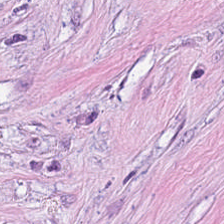Hematoxylin-and-eosin section: desmoplastic stroma.
